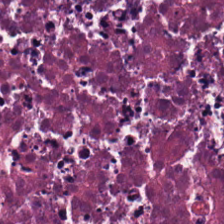H&E-stained tissue section — The tissue here is debris.
